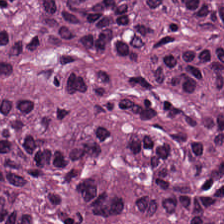0.5 microns per pixel · hematoxylin and eosin · 224×224 px tile — Tissue type — tumor epithelium.
